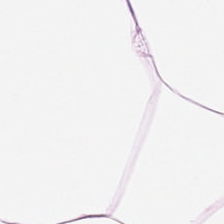Stain: H&E stain.
Acquisition: WSI patch.
Classification: adipocytes.
